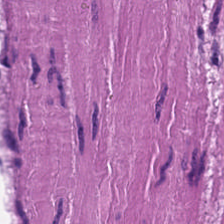224×224 pixel tile. H&E. The predominant tissue is muscularis.
